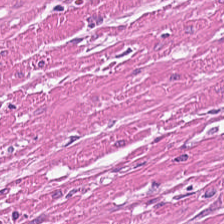224×224 pixel tile · H&E stain. The tissue class is smooth-muscle tissue.
